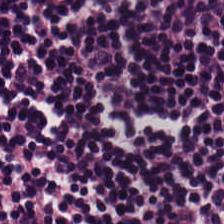WSI patch; H&E stain — Q: What tissue is shown?
A: This is lymphocytic infiltrate.
